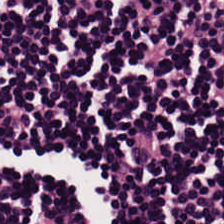H&E. 224×224 pixel tile — Predominant tissue = lymphocyte aggregate.
